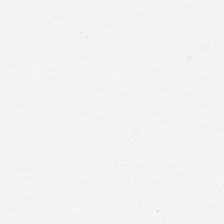224×224 pixel tile. H&E. Q: What is shown here?
A: This is empty background.
